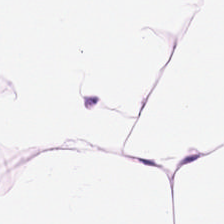Tissue: adipocytes.
